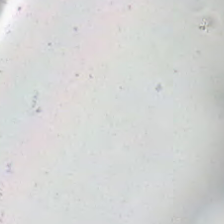Empty field — empty background.
